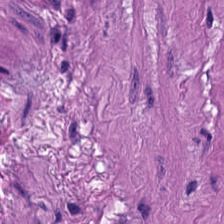H&E — Smooth-muscle tissue.
